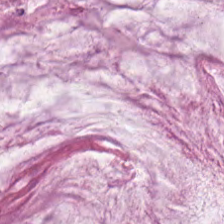Hematoxylin-and-eosin section: extracellular mucin.
